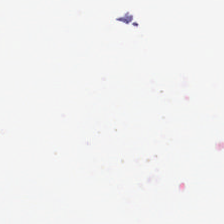H&E-stained tissue section. Brightfield microscopy. 20× equivalent magnification.
Empty field — empty background.
